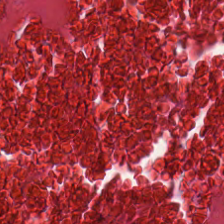H&E stain — Predominant tissue — debris.
